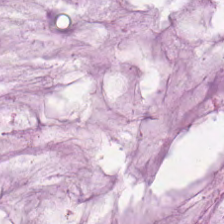H&E — The predominant tissue is mucus.
